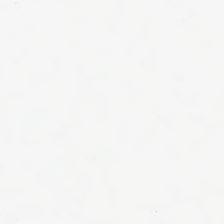Brightfield microscopy. 0.5 µm/px. Hematoxylin-and-eosin stained section.
Impression → background (no tissue).
